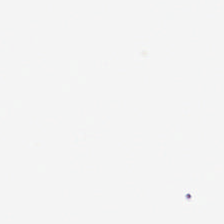0.5 microns per pixel · hematoxylin-and-eosin stained section — Empty field — background.
